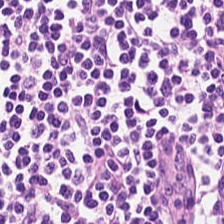224×224 px patch; H&E-stained tissue section; 0.5 µm/px. Predominantly lymphocytic infiltrate.
